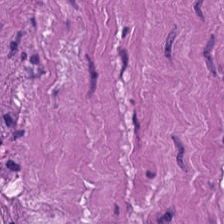Stain: hematoxylin and eosin.
Tissue: smooth-muscle tissue.
